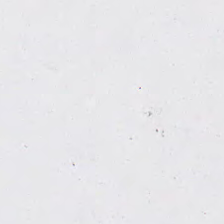H&E-stained tissue section. Brightfield. FFPE. Field content: no tissue.
